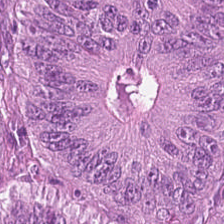FFPE tissue section. H&E. 0.5 µm per pixel.
Tumor epithelium.
